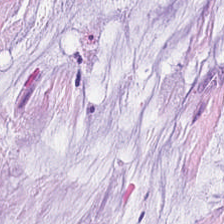0.5 µm per pixel; brightfield microscopy; H&E — The predominant tissue is extracellular mucin.
